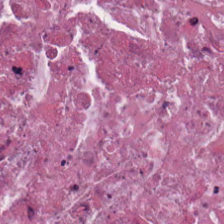H&E. 224×224 px tile.
Finding → necrotic debris.
